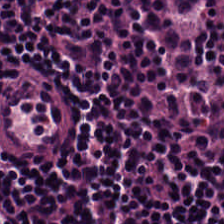H&E-stained section; the field shows lymphocytes.
